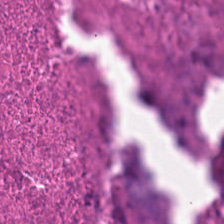Hematoxylin and eosin. Tissue class — cellular debris.
